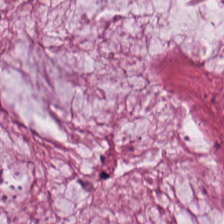H&E stain — {"tissue_type": "extracellular mucin"}
